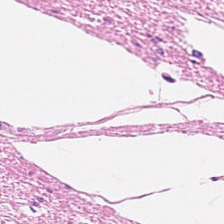Formalin-fixed paraffin-embedded section · 20× equivalent magnification · hematoxylin-and-eosin stained section — This field is smooth-muscle tissue.
